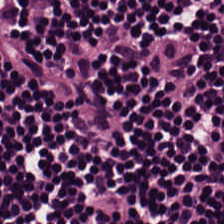H&E. Q: What is shown in this field?
A: Lymphocytes.
